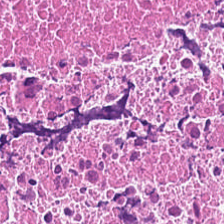H&E — debris.
